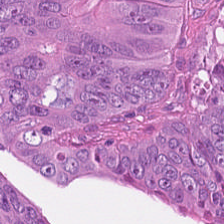H&E stain; whole-slide-image patch.
Tissue: malignant epithelium.
